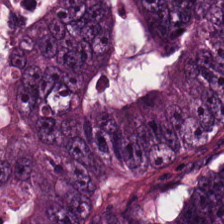Hematoxylin-and-eosin stained section. This field is colorectal adenocarcinoma epithelium.
